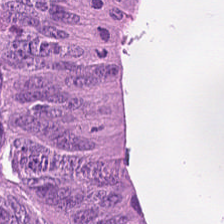H&E; 224×224 pixel tile — The predominant tissue is malignant epithelium.
